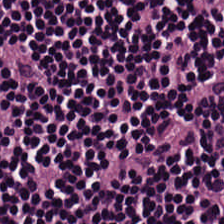Hematoxylin and eosin; 224×224 px patch.
Q: What tissue type is shown here?
A: The field shows lymphocytes.
